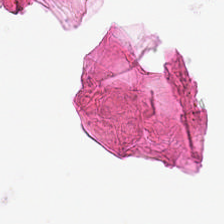H&E-stained tissue section — Finding — no tissue.
